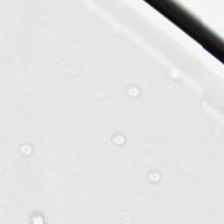Hematoxylin-and-eosin stained section. 224×224 px patch. Formalin-fixed paraffin-embedded section.
Q: What is shown here?
A: This is background.
